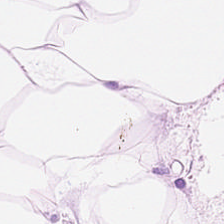Hematoxylin-and-eosin stained section.
Adipose.
